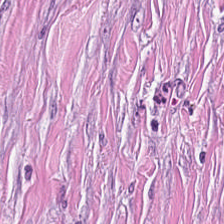H&E stain.
Classification = desmoplastic stroma.
